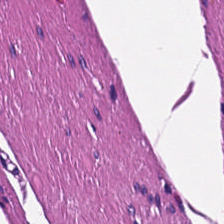H&E.
The predominant tissue is smooth muscle.
